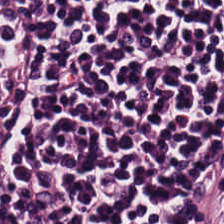0.5 microns per pixel. H&E.
{"tissue_type": "lymphocytes"}
